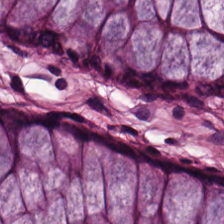Hematoxylin-and-eosin stained section.
This field is normal colonic mucosa.
